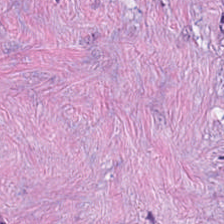Q: What tissue type is shown here?
A: It is tumor-associated stroma.
